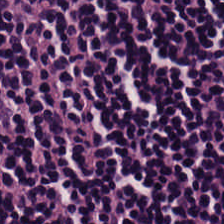H&E. This field is lymphocytic infiltrate.
